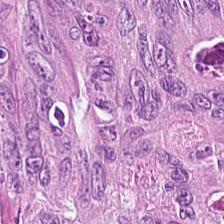H&E stain. WSI patch. 224×224 px tile — The tissue class is tumor epithelium.
